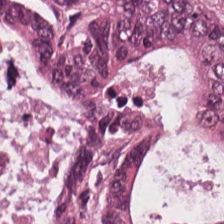Hematoxylin-and-eosin stained section. 0.5 µm per pixel — Q: What type of tissue is this?
A: The field shows adenocarcinoma.
